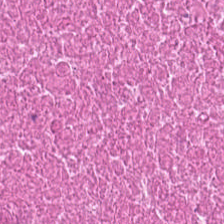FFPE. H&E stain.
The predominant tissue is debris.
